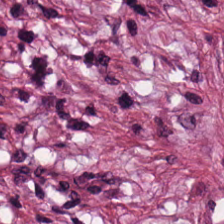H&E.
Finding — desmoplastic stroma.
